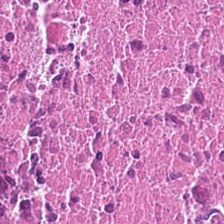224×224 px patch. Hematoxylin-and-eosin stained section. Debris.
